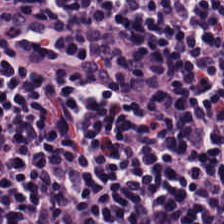H&E — Lymphoid infiltrate.
